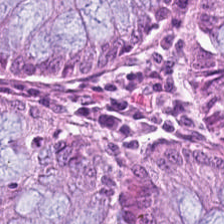H&E · 0.5 µm/px. Q: Classify this patch.
A: Non-neoplastic colon mucosa.
